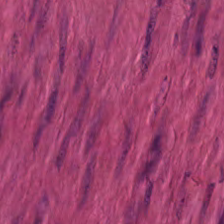H&E stain.
Smooth-muscle tissue.
